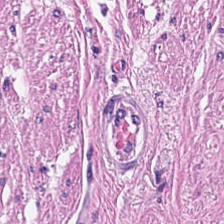Showing smooth-muscle tissue.
